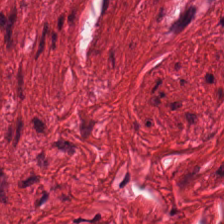H&E stain. Formalin-fixed paraffin-embedded section.
Impression → smooth muscle.
